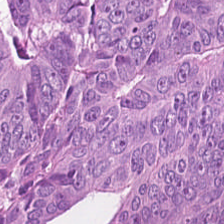Hematoxylin and eosin.
{"tissue_type": "tumor epithelium"}
